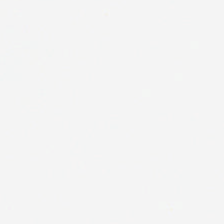Background (no tissue).
